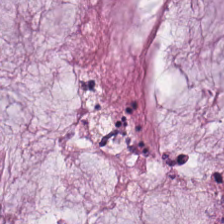Predominantly mucin.
